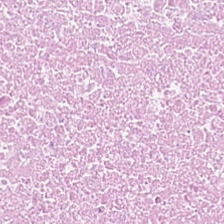H&E-stained tissue section — The tissue here is necrotic debris.
